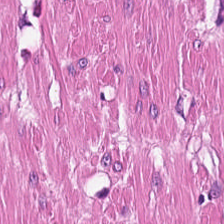H&E stain — Predominantly smooth muscle.
